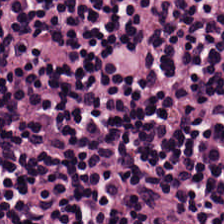Hematoxylin-and-eosin stained section; 224×224 px patch; 0.5 µm per pixel. {"tissue_type": "lymphoid infiltrate"}
